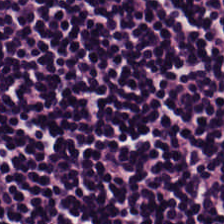H&E stain — Q: What is shown here?
A: The field shows lymphoid infiltrate.
